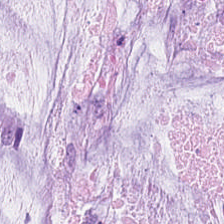Stain: hematoxylin and eosin.
Preparation: formalin-fixed paraffin-embedded section.
Classification: mucus.
